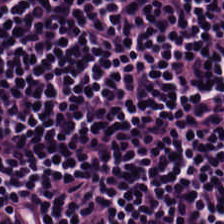Hematoxylin and eosin. 224×224 px patch.
Tissue class: lymphocytic infiltrate.
